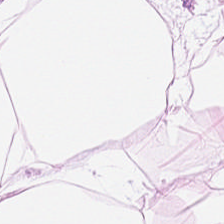H&E-stained tissue section. Formalin-fixed paraffin-embedded section — Adipose tissue.
